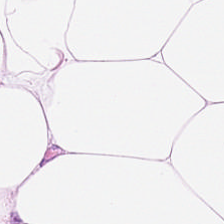H&E stain · formalin-fixed paraffin-embedded section. This field is fat tissue.
